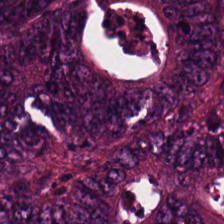Classification = colorectal adenocarcinoma.
